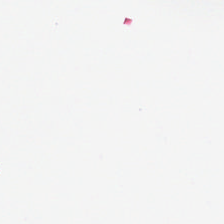Q: What is shown here?
A: The field shows background (no tissue).
